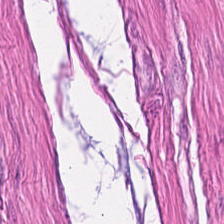The tissue here is smooth muscle.
